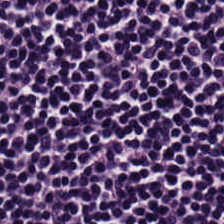Hematoxylin and eosin; 0.5 µm/px; formalin-fixed paraffin-embedded section.
Impression — lymphocytic infiltrate.
